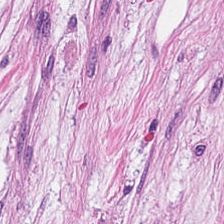H&E.
Q: What is shown in this field?
A: It is tumor-associated stroma.
